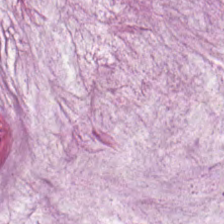Q: What does this patch show?
A: This is extracellular mucin.
